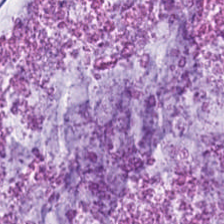H&E-stained tissue section.
This patch shows mucin.
